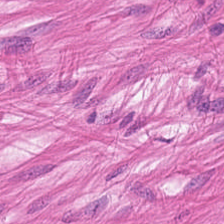Showing muscularis.
